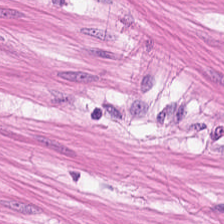Stain: hematoxylin-and-eosin stained section.
Classification: smooth muscle.
